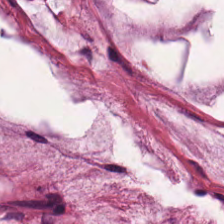Hematoxylin-and-eosin stained section. 224×224 px patch — The predominant tissue is extracellular mucin.
